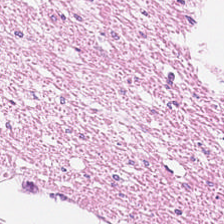224×224 px patch · 0.5 µm per pixel · H&E — This patch shows muscularis.
